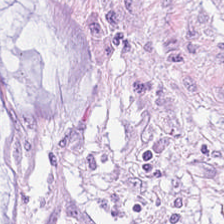Hematoxylin and eosin. Q: What tissue is shown?
A: It is extracellular mucin.
